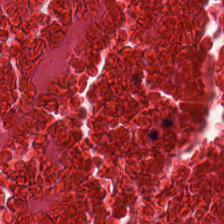Hematoxylin-and-eosin stained section. Whole-slide-image patch. FFPE. Tissue = debris.
